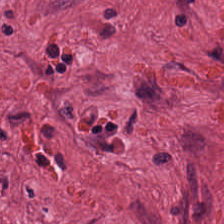Stain: hematoxylin-and-eosin stained section.
Tissue: tumor stroma.
